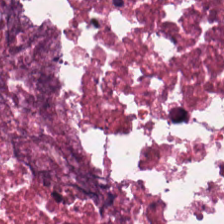Finding → debris.
